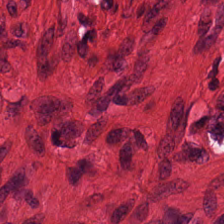Hematoxylin-and-eosin stained section · formalin-fixed paraffin-embedded section. Finding — smooth muscle.
